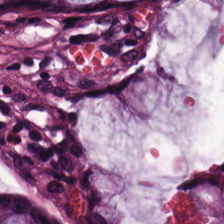Stain: H&E.
Resolution: 0.5 µm/px.
Classification: benign colonic mucosa.
